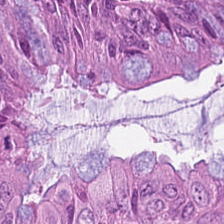Hematoxylin-and-eosin section: colorectal adenocarcinoma.
